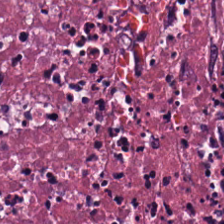Q: What is shown here?
A: It is cellular debris.
